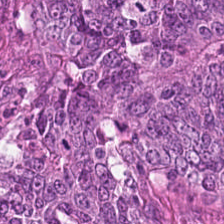The tissue here is malignant epithelium.
